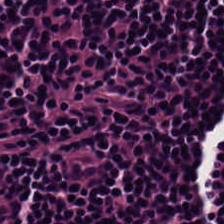Stain: H&E.
Acquisition: brightfield microscopy.
Tissue type: lymphocytic infiltrate.
